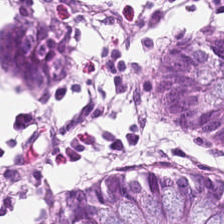FFPE tissue section · H&E stain — Tissue class — normal colon mucosa.
